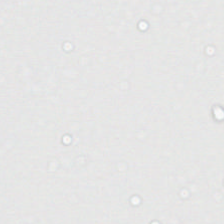Whole-slide-image patch; H&E — The content is empty background.
